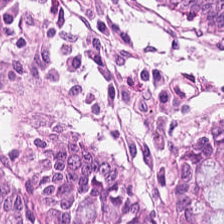Whole-slide-image patch; hematoxylin and eosin — Q: What is the predominant tissue type?
A: The field shows normal colon mucosa.
